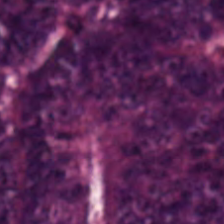Formalin-fixed paraffin-embedded section; 0.5 µm/px; H&E-stained tissue section. {"tissue_type": "colorectal adenocarcinoma"}
